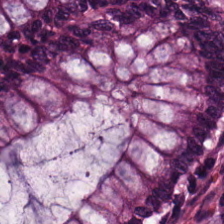Stain: hematoxylin and eosin.
Tissue class: non-neoplastic colon mucosa.
